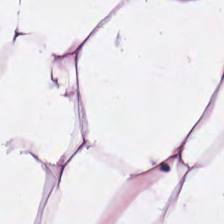224×224 px tile; FFPE; hematoxylin and eosin.
{"tissue_type": "adipocytes"}
